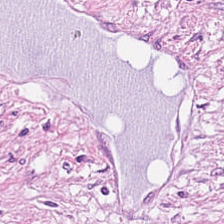This patch shows desmoplastic stroma.
